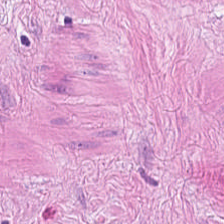Hematoxylin and eosin · 20× equivalent magnification · 224×224 px tile — This field is smooth-muscle tissue.
